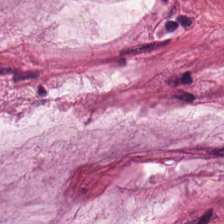Whole-slide-image patch. H&E. This patch shows mucin.
